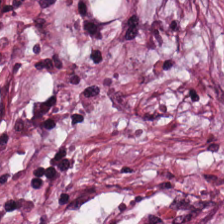H&E stain; FFPE; 224×224 pixel tile.
Q: Classify this patch.
A: The field shows desmoplastic stroma.
